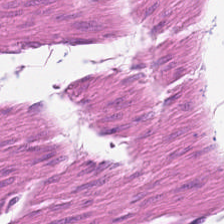Showing muscularis.
